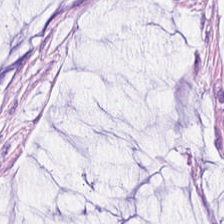Hematoxylin-and-eosin stained section.
Showing extracellular mucin.
